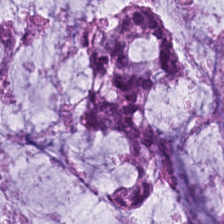H&E — Q: What type of tissue is this?
A: Extracellular mucin.
